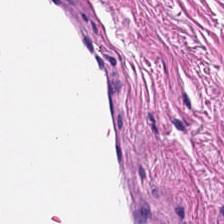Brightfield microscopy. Hematoxylin and eosin. Smooth muscle.
